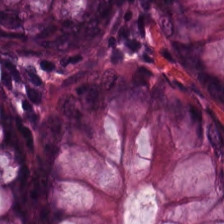224×224 px patch · hematoxylin and eosin · 0.5 µm/px.
Q: What is shown here?
A: The field shows normal colonic mucosa.
